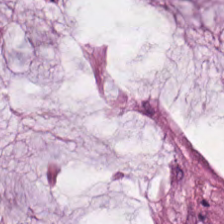Predominant tissue — mucus.
